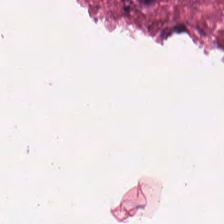Stain: H&E stain.
Predominant tissue: debris.
